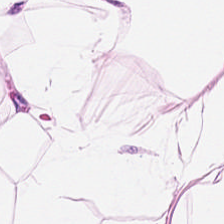H&E.
This field is adipose tissue.
